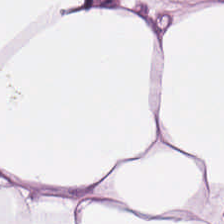Formalin-fixed paraffin-embedded section · hematoxylin and eosin — Tissue — adipose.
